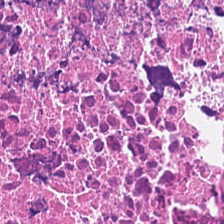Hematoxylin-and-eosin stained section. Tissue type = cellular debris.
